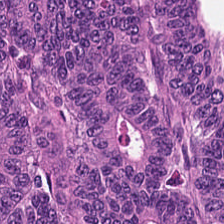H&E-stained tissue section — Q: What is the predominant tissue type?
A: It is tumor epithelium.
